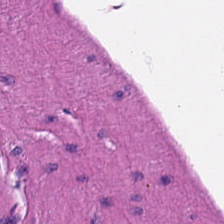0.5 µm/px · H&E-stained tissue section. Predominant tissue — smooth muscle.
